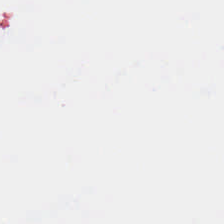H&E stain. Content: background.
